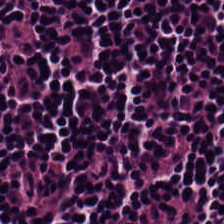224×224 pixel tile; hematoxylin-and-eosin stained section — This field is lymphoid infiltrate.
